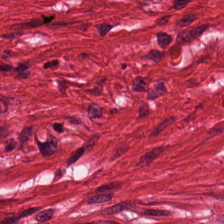Predominantly smooth muscle.
